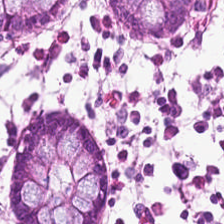0.5 µm/px; hematoxylin and eosin — Classification — benign colonic mucosa.
